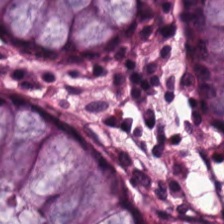Stain: H&E.
Tissue type: normal colonic mucosa.
